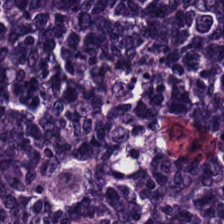H&E stain — Histology → lymphoid infiltrate.
